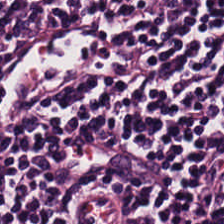H&E — lymphocytic infiltrate.
